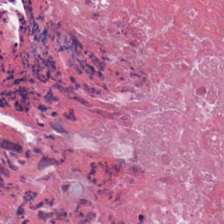The classification is debris.
